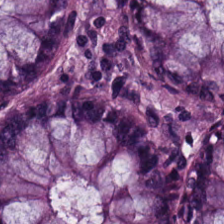Tissue type: normal colon mucosa.
